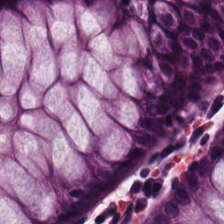Formalin-fixed paraffin-embedded section. Hematoxylin-and-eosin stained section. Brightfield.
The predominant tissue is non-neoplastic colon mucosa.
